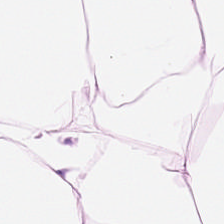0.5 microns per pixel · hematoxylin-and-eosin stained section. Tissue type = adipocytes.
